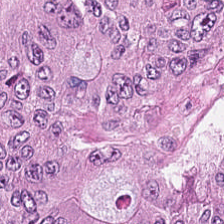H&E; 0.5 µm per pixel; formalin-fixed paraffin-embedded section.
Impression — adenocarcinoma.
